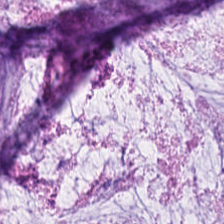Q: What tissue is shown?
A: This is mucus.
